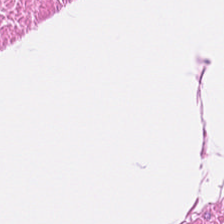Tissue — smooth-muscle tissue.
